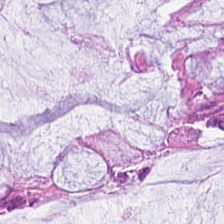Histology — normal colon mucosa.
